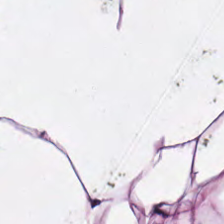20× equivalent magnification; H&E stain — Tissue = adipose.
